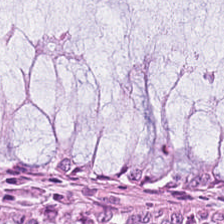Classification = normal colon mucosa.
